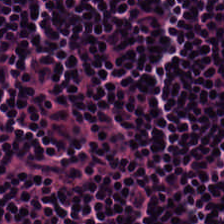Brightfield · H&E stain. Predominant tissue: lymphocytes.
